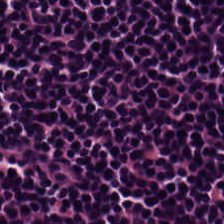H&E-stained tissue section. Brightfield microscopy — The predominant tissue is lymphocyte aggregate.
